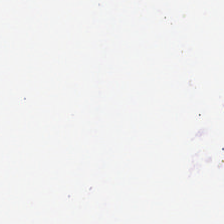Hematoxylin and eosin. Empty field — no tissue.
